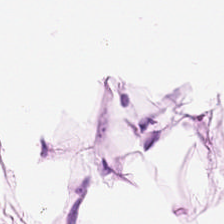H&E. {"tissue_type": "fat tissue"}
